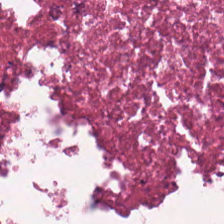Hematoxylin-and-eosin stained section.
Q: What does this patch show?
A: It is cellular debris.
